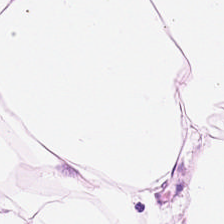Q: What does this patch show?
A: This is adipose tissue.
